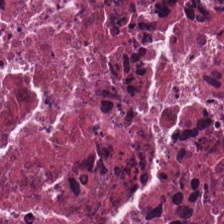224×224 px patch. H&E — Tissue class = debris.
